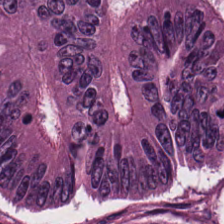Predominant tissue = malignant epithelium.
